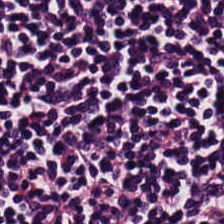H&E-stained tissue section · 224×224 px tile. Q: What is shown here?
A: This is lymphocytes.
